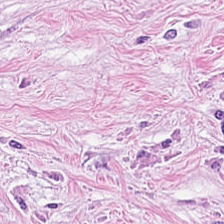H&E-stained tissue section. 0.5 µm per pixel. Predominantly tumor stroma.
